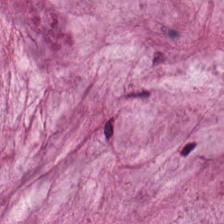H&E patch showing mucus.
